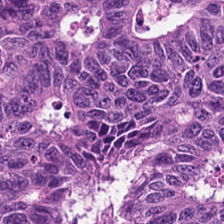Stain: H&E.
Acquisition: brightfield.
Tile size: 224×224 px patch.
Tissue type: adenocarcinoma.
